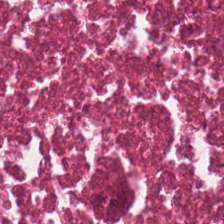Stain: hematoxylin and eosin.
Tissue type: debris.
